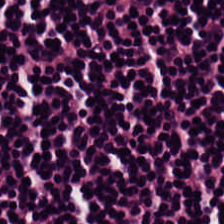Hematoxylin-and-eosin stained section. 0.5 µm per pixel. FFPE tissue section — Histology → lymphocyte aggregate.
